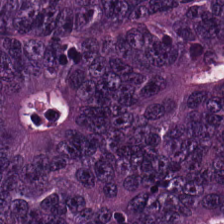H&E-stained tissue section — Tissue: colorectal adenocarcinoma.
